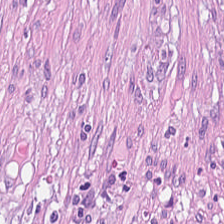0.5 µm/px · H&E · 224×224 px patch. Cancer-associated stroma.
